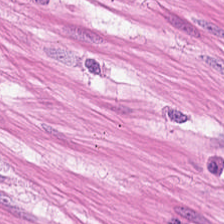Hematoxylin-and-eosin stained section.
Q: Classify this patch.
A: The field shows smooth-muscle tissue.
